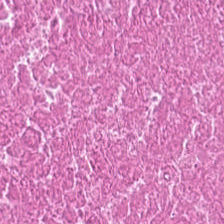H&E-stained tissue section. Brightfield microscopy — This field is debris.
